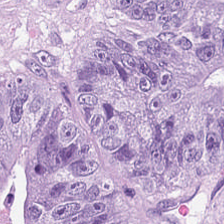FFPE; H&E-stained tissue section.
This patch shows colorectal adenocarcinoma epithelium.
